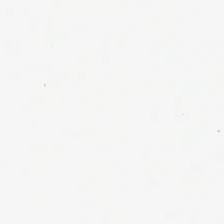H&E. Whole-slide-image patch — The classification is empty background.
